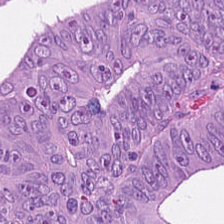Hematoxylin and eosin. Q: Classify this patch.
A: It is malignant epithelium.
